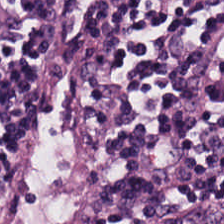H&E-stained tissue section.
Predominantly lymphocytic infiltrate.
